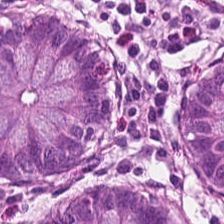Stain: hematoxylin and eosin.
Tissue: normal colonic mucosa.
